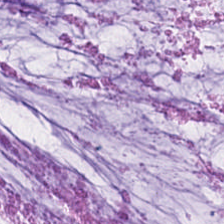Hematoxylin and eosin.
Predominant tissue — mucus.
